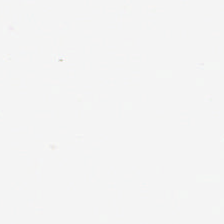H&E.
{"content": "empty background"}
